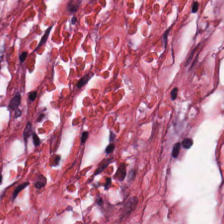H&E stain — Tissue: cancer-associated stroma.
